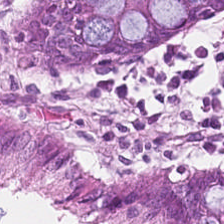H&E stain. WSI patch. Impression → normal colonic mucosa.
